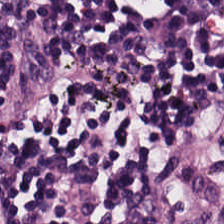Histology → lymphocytic infiltrate.
